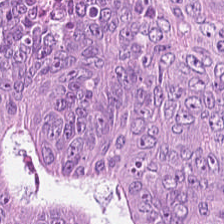H&E; 0.5 µm per pixel.
Tissue type: malignant epithelium.
